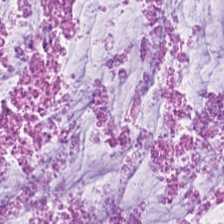Q: What does this patch show?
A: It is mucin.
